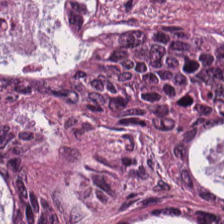Whole-slide-image patch; 224×224 pixel tile; hematoxylin and eosin — Classification: colorectal adenocarcinoma.
